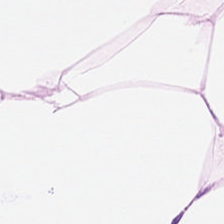WSI patch; hematoxylin and eosin; 224×224 px tile — Classification: adipose.
